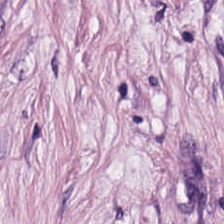H&E — desmoplastic stroma.
